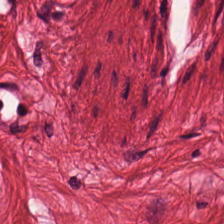Q: What does this patch show?
A: The field shows smooth-muscle tissue.
